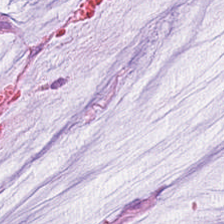224×224 px patch · 0.5 microns per pixel · hematoxylin and eosin. Q: Identify the tissue.
A: It is extracellular mucin.
